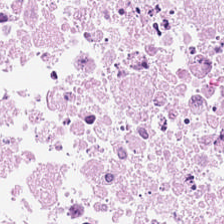Hematoxylin-and-eosin stained section. Classification: debris.
